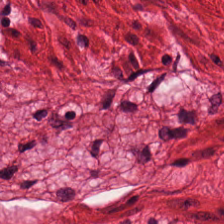H&E — Classification = smooth-muscle tissue.
